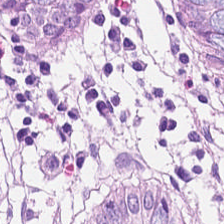H&E; FFPE.
Showing normal colon mucosa.
